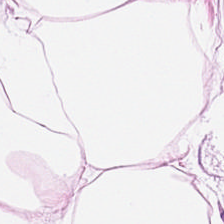Hematoxylin and eosin. Classification: adipocytes.
